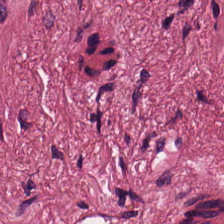Stain: H&E.
Tile size: 224×224 px tile.
Resolution: 0.5 µm/px.
Tissue type: desmoplastic stroma.
